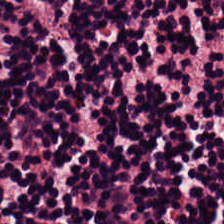H&E-stained tissue section · 0.5 µm/px · 224×224 px tile. The predominant tissue is lymphocytes.
